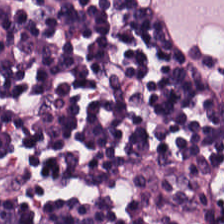20× equivalent magnification. Whole-slide-image patch. Hematoxylin and eosin — Showing lymphoid infiltrate.
